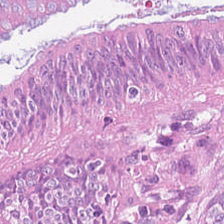Brightfield microscopy · hematoxylin-and-eosin stained section.
{"tissue_type": "adenocarcinoma"}
